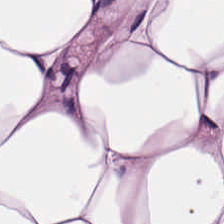Formalin-fixed paraffin-embedded section. Hematoxylin-and-eosin stained section. Finding — fat tissue.
